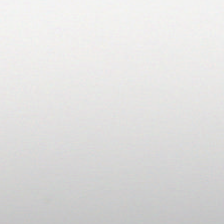H&E-stained tissue section. Empty background.
